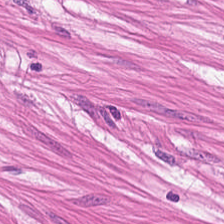H&E stain — Classification = muscularis.
